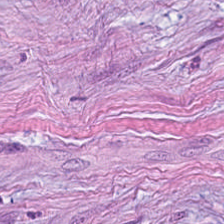Hematoxylin-and-eosin section: tumor-associated stroma.
